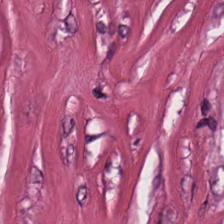0.5 µm/px · H&E-stained tissue section · brightfield microscopy.
The predominant tissue is tumor-associated stroma.
